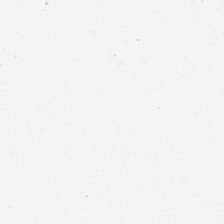Stain: H&E.
Preparation: FFPE tissue section.
Field content: empty background.
